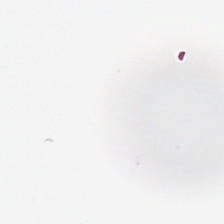Hematoxylin-and-eosin stained section · WSI patch.
Empty field — background.
